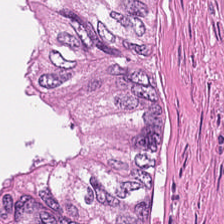The tissue class is necrotic debris.
